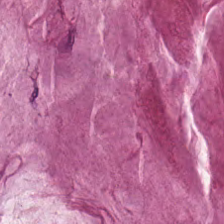Extracellular mucin.
